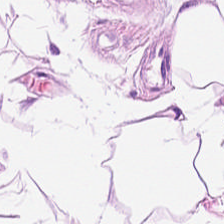FFPE; 224×224 px patch; H&E stain — The predominant tissue is adipose.
